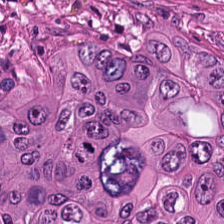WSI patch · hematoxylin-and-eosin stained section. Q: What is the predominant tissue type?
A: The field shows colorectal adenocarcinoma.
